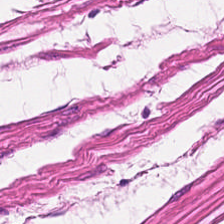H&E. This patch shows muscularis.
